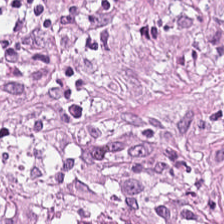224×224 px patch. H&E.
This field is desmoplastic stroma.
